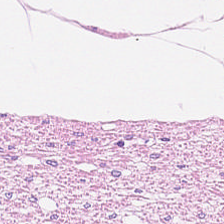FFPE. 20× equivalent magnification. H&E stain. Predominantly smooth muscle.
